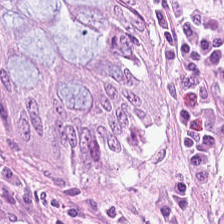20× equivalent magnification; hematoxylin-and-eosin stained section.
Q: What does this patch show?
A: This is normal colonic mucosa.
